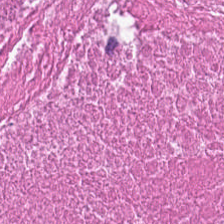Stain: hematoxylin and eosin.
Tissue: necrotic debris.
